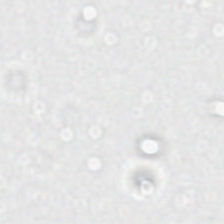Stain: hematoxylin-and-eosin stained section.
Field content: no tissue.
